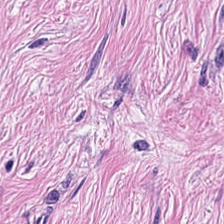H&E stain; 224×224 px tile — Histology — desmoplastic stroma.
